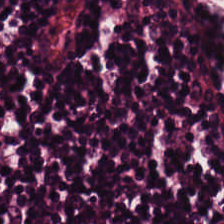H&E stain.
The tissue is lymphocytic infiltrate.
